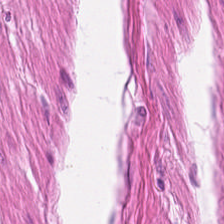Hematoxylin-and-eosin stained section — Smooth muscle.
